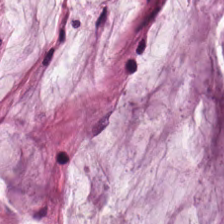{"tissue_type": "mucus"}
